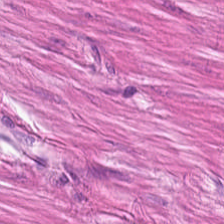FFPE. Hematoxylin-and-eosin stained section.
Tissue class = smooth-muscle tissue.
